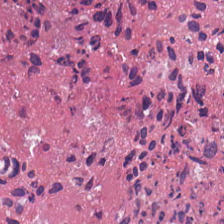H&E; 0.5 microns per pixel — Predominantly necrotic debris.
